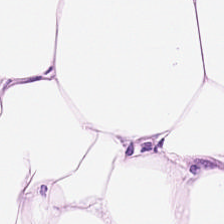Stain: H&E.
Preparation: FFPE tissue section.
Tissue: adipocytes.
